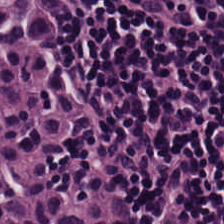224×224 pixel tile; FFPE tissue section; H&E.
The predominant tissue is lymphocytes.
